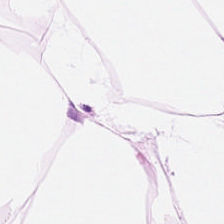Tissue type — adipose tissue.
